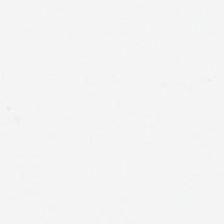Formalin-fixed paraffin-embedded section. Hematoxylin and eosin. Content — no tissue.
